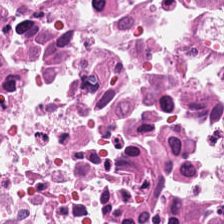Predominant tissue — debris.
